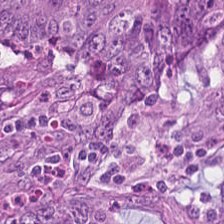Showing malignant epithelium.
